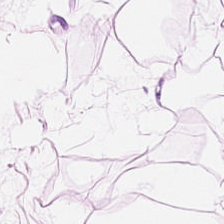H&E — Adipose tissue.
